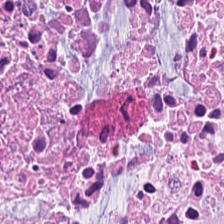Stain: hematoxylin-and-eosin stained section.
Tissue class: necrotic debris.
